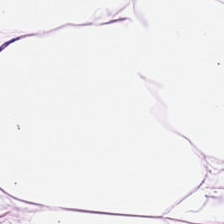Stain: H&E.
Acquisition: brightfield.
Tissue type: fat tissue.
